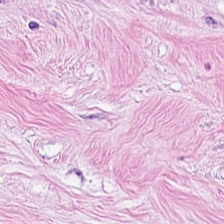H&E-stained tissue section — Q: What is the predominant tissue type?
A: It is cancer-associated stroma.
